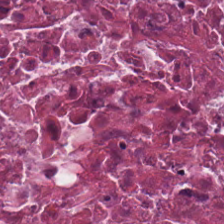H&E. 0.5 µm/px.
Q: What type of tissue is this?
A: The field shows necrotic debris.
